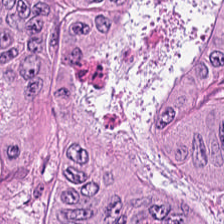H&E.
Q: What tissue type is shown here?
A: The field shows malignant epithelium.
